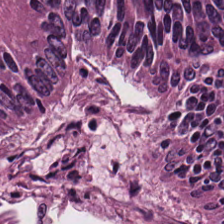H&E-stained tissue section.
Q: What is the predominant tissue type?
A: Adenocarcinoma.
